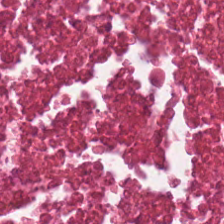Stain: hematoxylin-and-eosin stained section.
Predominant tissue: cellular debris.
